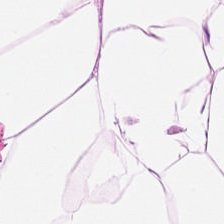Whole-slide-image patch; H&E-stained tissue section.
Predominantly fat tissue.
